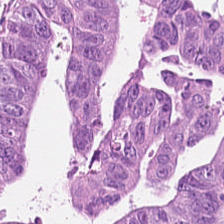Hematoxylin-and-eosin stained section. Tissue class — colorectal adenocarcinoma.
